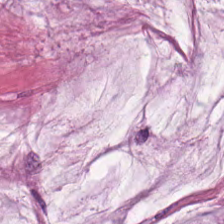H&E-stained tissue section · brightfield · 224×224 px patch.
Tissue — mucin.
